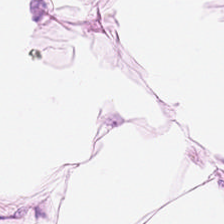H&E-stained tissue section · whole-slide-image patch. Q: What tissue is shown?
A: This is adipocytes.
